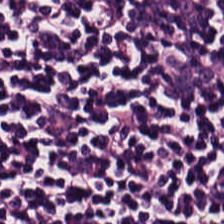Hematoxylin and eosin · 224×224 px tile. Tissue type — lymphocytic infiltrate.
